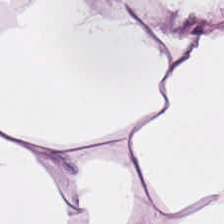H&E stain — The predominant tissue is adipocytes.
